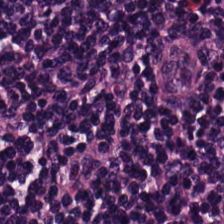H&E-stained tissue section.
Q: What tissue type is shown here?
A: It is lymphoid infiltrate.
